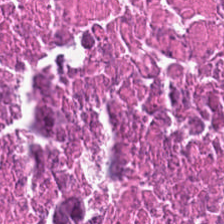Debris.
